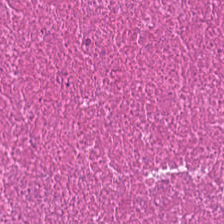H&E stain.
The predominant tissue is debris.
